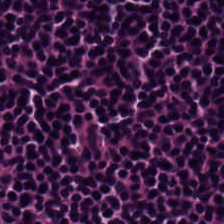0.5 microns per pixel; hematoxylin and eosin; formalin-fixed paraffin-embedded section.
Q: Classify this patch.
A: It is lymphocytic infiltrate.
